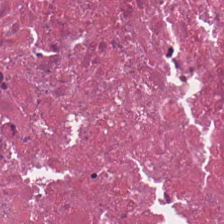Tissue — necrotic debris.
